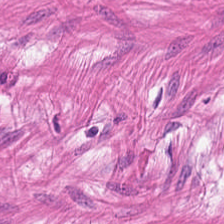{"tissue_type": "smooth-muscle tissue"}
